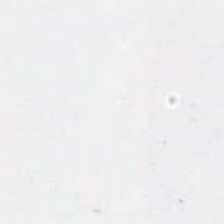Hematoxylin-and-eosin stained section.
Impression → background.
